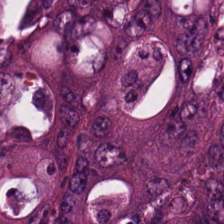H&E-stained tissue section. Classification: tumor epithelium.
